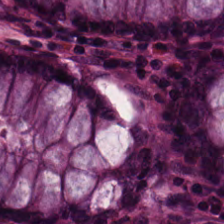H&E-stained section; the field shows normal colon mucosa.
